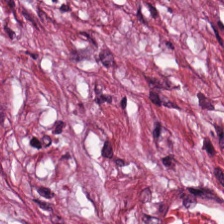Q: What tissue type is shown here?
A: This is desmoplastic stroma.
